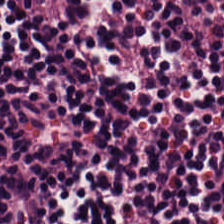H&E.
The tissue here is lymphocytic infiltrate.
